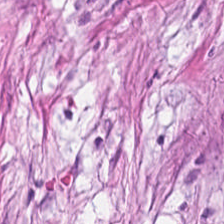Hematoxylin and eosin. Formalin-fixed paraffin-embedded section.
This field is tumor stroma.
